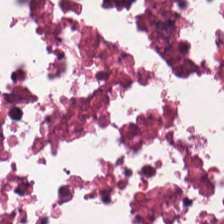H&E stain.
The tissue here is cellular debris.
